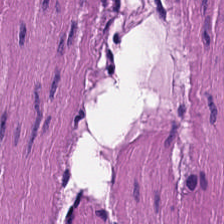H&E.
Q: What is the predominant tissue type?
A: It is muscularis.
